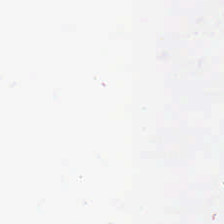Finding — empty background.
